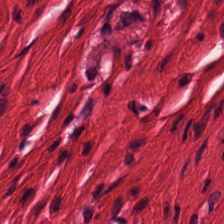Hematoxylin-and-eosin stained section — Predominantly smooth muscle.
